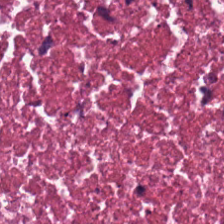Hematoxylin-and-eosin stained section — This patch shows debris.
